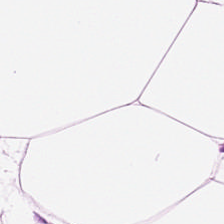224×224 px patch. Hematoxylin-and-eosin stained section — The classification is adipocytes.
